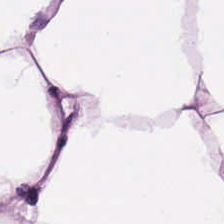Brightfield · H&E. {"tissue_type": "fat tissue"}
